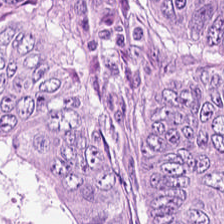Q: What tissue type is shown here?
A: This is colorectal adenocarcinoma.
